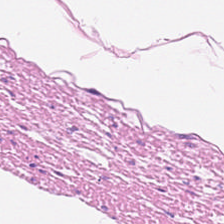224×224 px tile · H&E-stained tissue section. Q: What is the predominant tissue type?
A: Smooth-muscle tissue.
